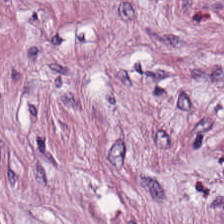H&E stain.
The predominant tissue is tumor stroma.
